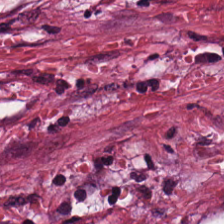Hematoxylin and eosin — Tissue class — desmoplastic stroma.
